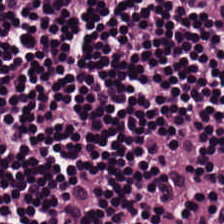Brightfield microscopy; hematoxylin-and-eosin stained section; 20× equivalent magnification.
Showing lymphocyte aggregate.
